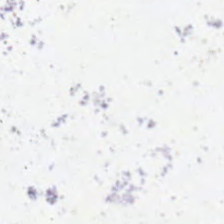Stain: hematoxylin and eosin.
Acquisition: WSI patch.
Resolution: 20× equivalent magnification.
Content: background (no tissue).
